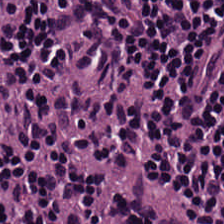The predominant tissue is lymphoid infiltrate.
